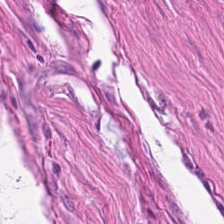Predominant tissue — muscularis.
